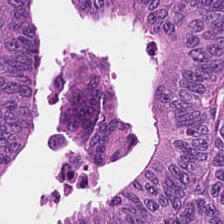Adenocarcinoma.
